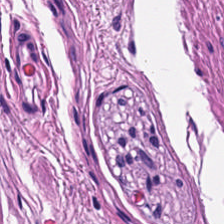Stain: hematoxylin and eosin.
Predominant tissue: smooth muscle.
